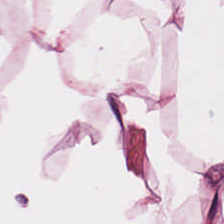Hematoxylin-and-eosin stained section. Predominantly adipose tissue.
